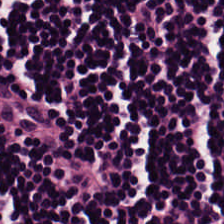FFPE tissue section. H&E-stained tissue section. Q: What is shown in this field?
A: The field shows lymphocyte aggregate.
